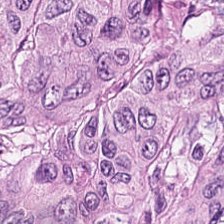H&E-stained tissue section — The predominant tissue is colorectal adenocarcinoma.
